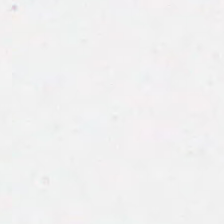224×224 pixel tile. Hematoxylin and eosin.
No tissue present; background only.
